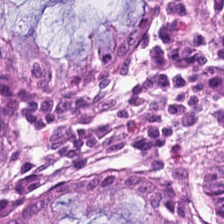Hematoxylin and eosin — Q: What type of tissue is this?
A: Benign colonic mucosa.
